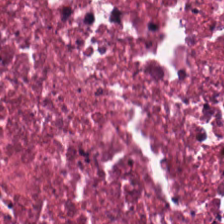H&E; 224×224 px patch.
The tissue is necrotic debris.
